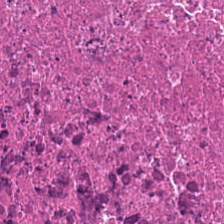Stain: H&E.
Tissue: debris.
